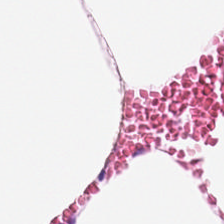This patch shows fat tissue.
